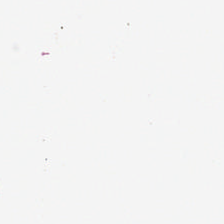224×224 pixel tile; 0.5 microns per pixel; hematoxylin and eosin. Field content — background.
